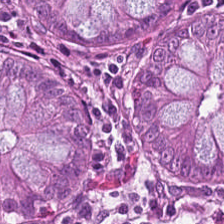H&E-stained tissue section. Tissue: normal colon mucosa.
